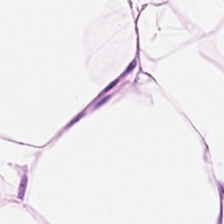H&E; whole-slide-image patch — Showing adipose tissue.
